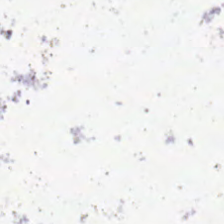Hematoxylin and eosin — Q: What is shown here?
A: Background (no tissue).
